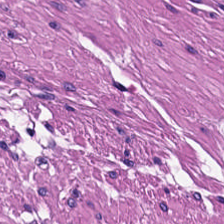FFPE · 0.5 µm/px · H&E-stained tissue section. Impression → muscularis.
